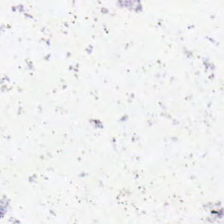20× equivalent magnification; hematoxylin and eosin. Q: What is shown here?
A: The field shows background.
